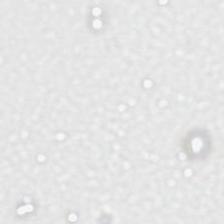Brightfield microscopy; 224×224 px patch; H&E. Background — no tissue in this field.
